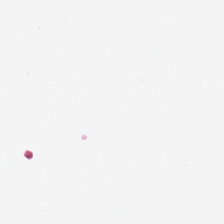This field is background (no tissue).
